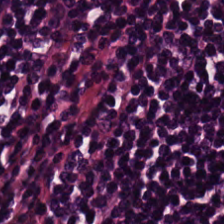Formalin-fixed paraffin-embedded section; hematoxylin-and-eosin stained section; 224×224 pixel tile.
{"tissue_type": "lymphocytic infiltrate"}
